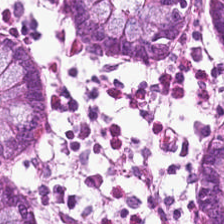H&E. Showing normal colonic mucosa.
